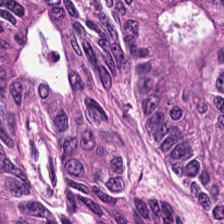Hematoxylin and eosin.
Tissue class — tumor epithelium.
